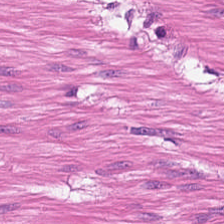Tissue type: smooth muscle.
